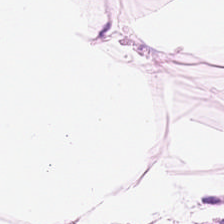H&E-stained tissue section. 224×224 px patch.
Tissue: adipocytes.
